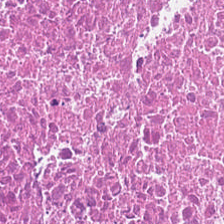Hematoxylin and eosin · brightfield · 224×224 pixel tile. {"tissue_type": "cellular debris"}
